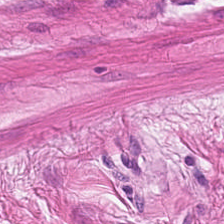Hematoxylin and eosin — Q: What type of tissue is this?
A: Smooth muscle.
